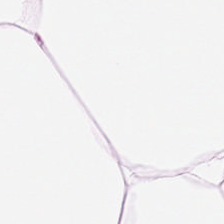H&E stain — {"tissue_type": "adipose"}
